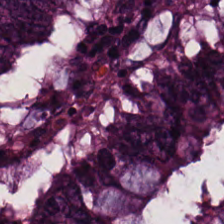H&E — colorectal adenocarcinoma.
